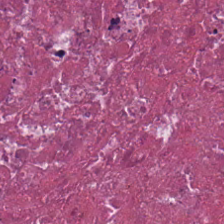H&E stain · FFPE tissue section.
Q: What is shown here?
A: Cellular debris.
